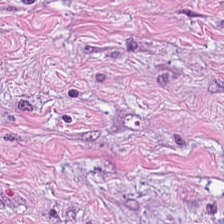0.5 µm/px; H&E-stained tissue section.
Tissue = tumor stroma.
